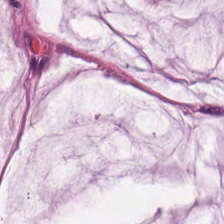Formalin-fixed paraffin-embedded section · 20× equivalent magnification · hematoxylin-and-eosin stained section.
Q: What is shown here?
A: It is extracellular mucin.
